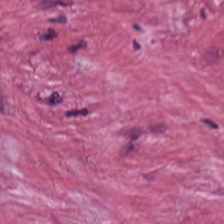Brightfield microscopy · 0.5 µm/px · H&E — This patch shows tumor stroma.
